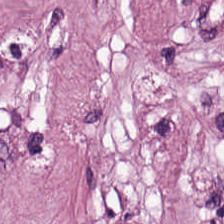H&E. Cancer-associated stroma.
